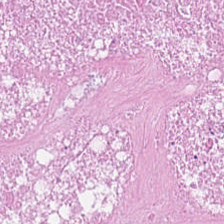Hematoxylin and eosin. Classification = debris.
